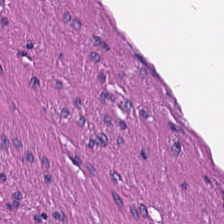H&E — smooth-muscle tissue.
